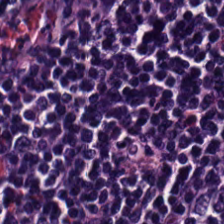H&E stain — Tissue: lymphoid infiltrate.
